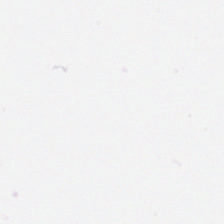Whole-slide-image patch. H&E-stained tissue section. Background — no tissue in this field.
